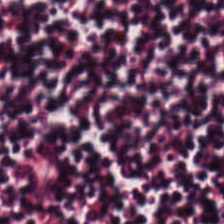H&E. Tissue class — lymphoid infiltrate.
